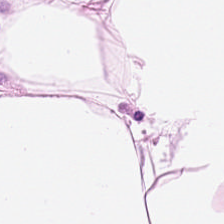Hematoxylin-and-eosin section: fat tissue.
